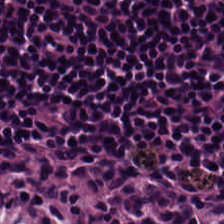224×224 pixel tile · 0.5 µm/px · H&E.
Lymphoid infiltrate.
